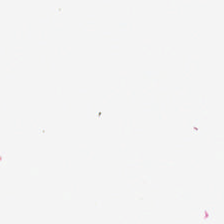Stain: H&E stain.
Classification: empty background.
